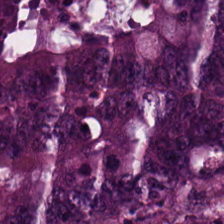Predominantly colorectal adenocarcinoma.
